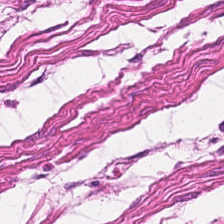H&E stain; 224×224 px tile.
The tissue type is muscularis.
